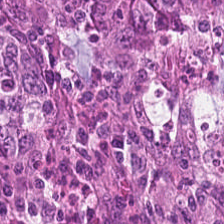H&E-stained tissue section; 224×224 pixel tile — {"tissue_type": "colorectal adenocarcinoma epithelium"}
